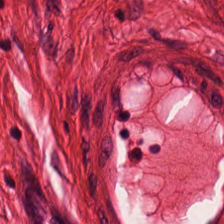H&E stain.
{"tissue_type": "smooth muscle"}
